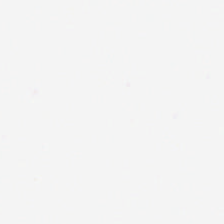No tissue.
